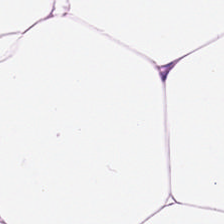20× equivalent magnification. H&E stain.
Histology → adipose.
